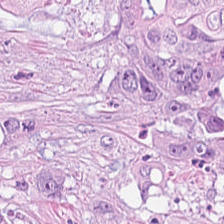H&E-stained tissue section — The tissue type is adenocarcinoma.
